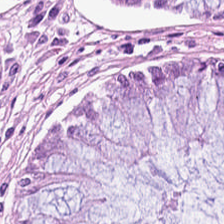H&E stain — The tissue type is normal colon mucosa.
